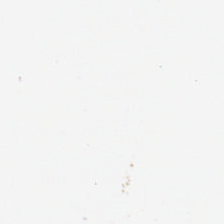H&E-stained tissue section. Brightfield.
Q: What is shown here?
A: This is no tissue.
